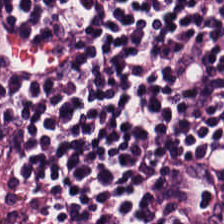Hematoxylin-and-eosin stained section · FFPE · brightfield microscopy. Predominantly lymphocytes.
